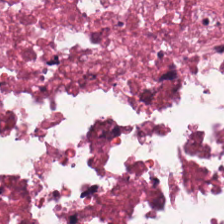{"tissue_type": "cellular debris"}
